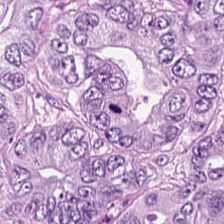H&E stain · brightfield microscopy.
The tissue type is tumor epithelium.
